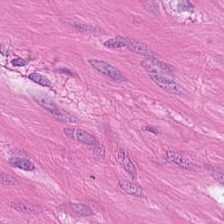H&E.
{"tissue_type": "smooth muscle"}
